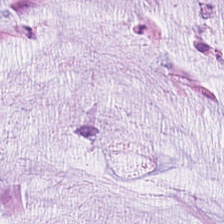224×224 px patch; hematoxylin-and-eosin stained section. Q: What does this patch show?
A: The field shows mucin.
